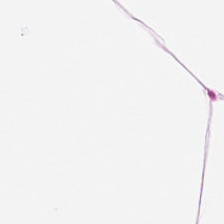Stain: H&E.
Preparation: formalin-fixed paraffin-embedded section.
Predominant tissue: fat tissue.
